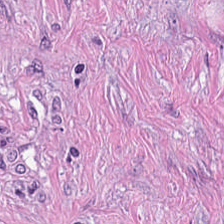Hematoxylin and eosin — Tumor-associated stroma.
